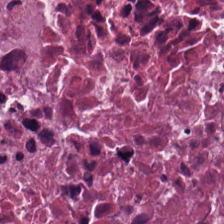Hematoxylin and eosin; FFPE tissue section.
Debris.
